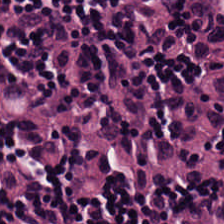Hematoxylin and eosin.
Predominantly lymphocyte aggregate.
